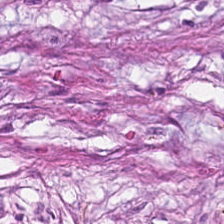Formalin-fixed paraffin-embedded section. Hematoxylin and eosin. Brightfield. Tumor-associated stroma.
